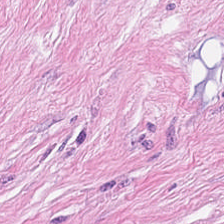Impression — tumor stroma.
